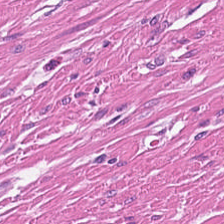H&E.
Showing muscularis.
